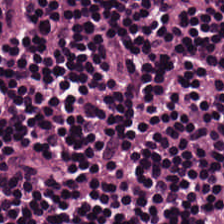Formalin-fixed paraffin-embedded section; H&E stain. Finding → lymphocytes.
